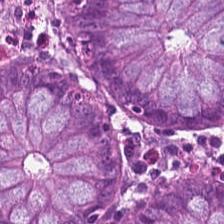Hematoxylin-and-eosin stained section. Non-neoplastic colon mucosa.
